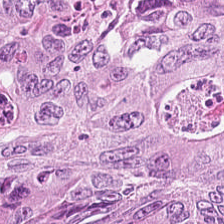Hematoxylin and eosin — Q: Classify this patch.
A: This is colorectal adenocarcinoma.
